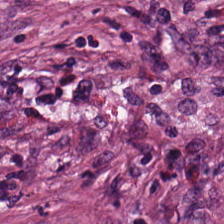Q: What tissue is shown?
A: Desmoplastic stroma.
